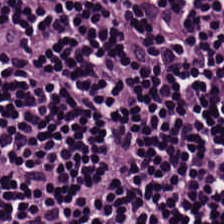H&E stain; 224×224 px tile. Classification: lymphocytic infiltrate.
